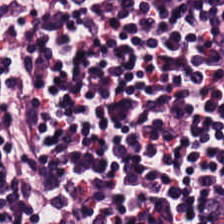H&E-stained tissue section. {"tissue_type": "lymphoid infiltrate"}
